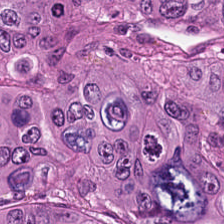H&E stain — This patch shows malignant epithelium.
